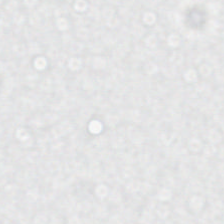Hematoxylin-and-eosin stained section · FFPE tissue section · 20× equivalent magnification. Empty field — background.
